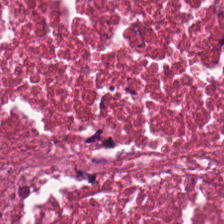Stain: H&E.
Classification: debris.
